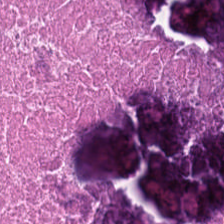H&E-stained tissue section; WSI patch.
This field is debris.
